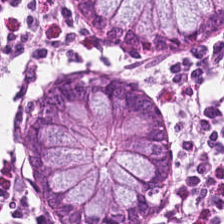Hematoxylin and eosin. 224×224 px tile. 0.5 µm/px. Impression — normal colon mucosa.
